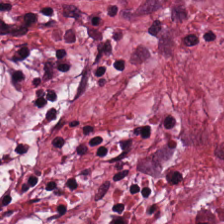Q: What is the predominant tissue type?
A: It is tumor-associated stroma.
